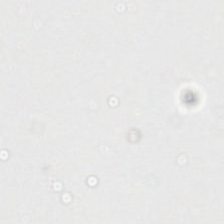Stain: H&E stain.
Preparation: formalin-fixed paraffin-embedded section.
Field content: empty background.
